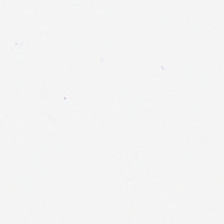Brightfield microscopy. Hematoxylin-and-eosin stained section — Background — no tissue in this field.
